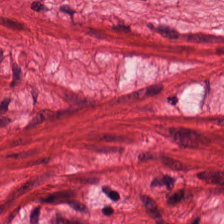Hematoxylin and eosin. FFPE tissue section. Tissue = smooth-muscle tissue.
